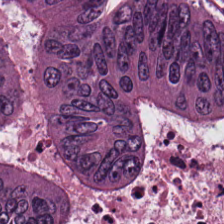H&E. Predominant tissue — tumor epithelium.
